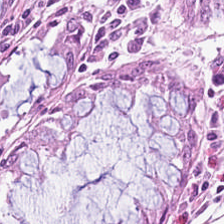Formalin-fixed paraffin-embedded section. Hematoxylin and eosin. 224×224 pixel tile. Q: What tissue type is shown here?
A: Normal colon mucosa.
